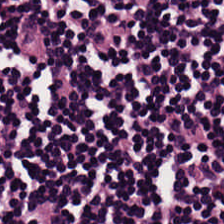H&E — Finding → lymphocytic infiltrate.
